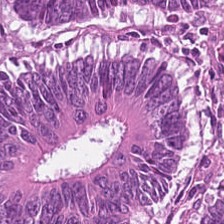Stain: H&E stain.
Resolution: 0.5 µm per pixel.
Acquisition: whole-slide-image patch.
Classification: colorectal adenocarcinoma.
